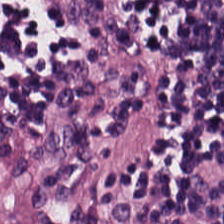Hematoxylin-and-eosin stained section — Classification = lymphocytic infiltrate.
